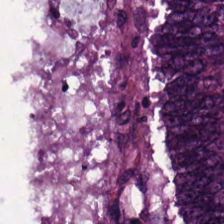0.5 µm per pixel. Hematoxylin-and-eosin stained section.
Tissue class = colorectal adenocarcinoma.
